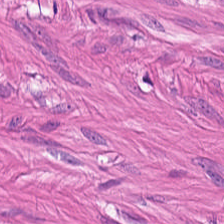Q: What does this patch show?
A: The field shows smooth-muscle tissue.
